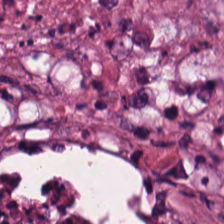Stain: hematoxylin-and-eosin stained section.
Predominant tissue: cellular debris.
